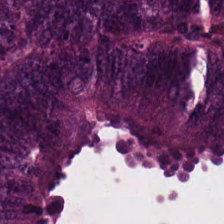224×224 px patch · H&E-stained tissue section. Q: What is the predominant tissue type?
A: The field shows malignant epithelium.
